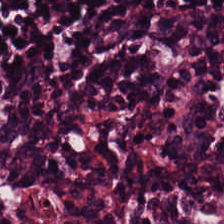Hematoxylin-and-eosin stained section; FFPE; WSI patch.
This patch shows lymphocytic infiltrate.
